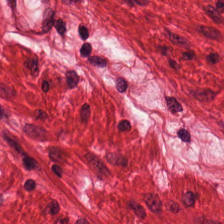H&E — Classification: smooth muscle.
